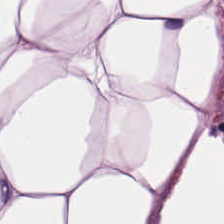H&E stain. Formalin-fixed paraffin-embedded section. WSI patch.
The predominant tissue is adipocytes.
